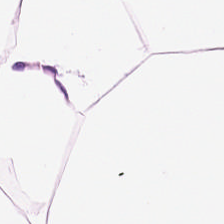H&E; 20× equivalent magnification. The tissue type is adipose tissue.
